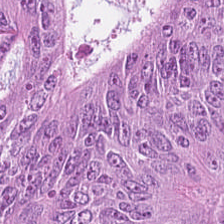20× equivalent magnification; 224×224 px tile; H&E stain. Q: What tissue is shown?
A: The field shows adenocarcinoma.
